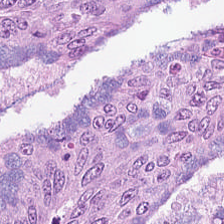Hematoxylin-and-eosin stained section — Predominantly colorectal adenocarcinoma epithelium.
